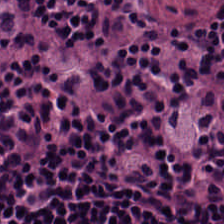The predominant tissue is lymphocytic infiltrate.
